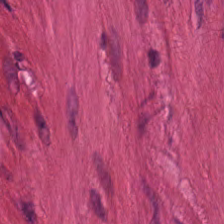0.5 µm/px · hematoxylin-and-eosin stained section. Q: What is shown here?
A: It is smooth muscle.
